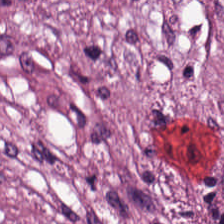224×224 px tile; H&E-stained tissue section. Predominant tissue — tumor-associated stroma.
